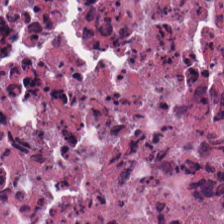Hematoxylin-and-eosin stained section.
Classification = necrotic debris.
